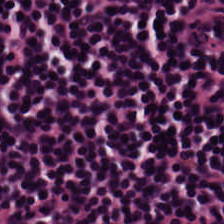H&E stain · WSI patch — {"tissue_type": "lymphocytes"}
